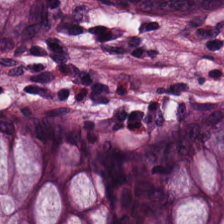Histology → benign colonic mucosa.
